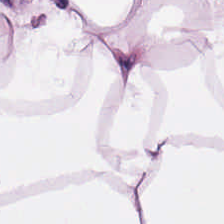H&E-stained tissue section — The classification is adipose tissue.
